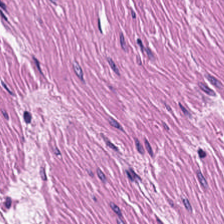Stain: H&E.
Tissue class: muscularis.
